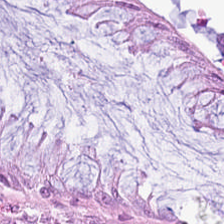FFPE tissue section; hematoxylin-and-eosin stained section; 0.5 microns per pixel — The tissue here is normal colon mucosa.
